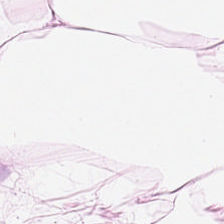Hematoxylin and eosin.
This field is fat tissue.
